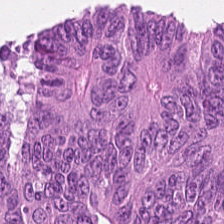Hematoxylin-and-eosin stained section — Classification = tumor epithelium.
